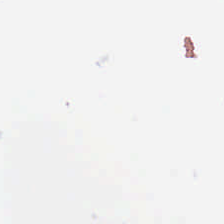Formalin-fixed paraffin-embedded section · H&E stain. Classification — no tissue.
